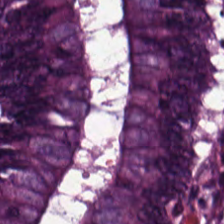H&E-stained tissue section — Q: What tissue is shown?
A: The field shows adenocarcinoma.
